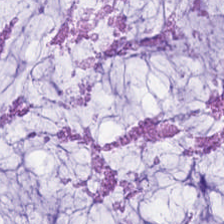Hematoxylin-and-eosin stained section. Brightfield. 224×224 pixel tile.
Impression — mucin.
